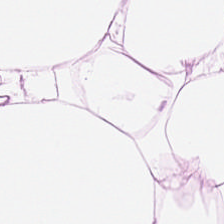Impression — adipose.
